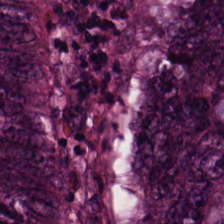Hematoxylin and eosin. 224×224 px tile — The predominant tissue is adenocarcinoma.
